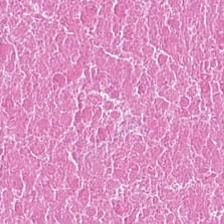Stain: H&E stain.
Acquisition: WSI patch.
Tissue class: necrotic debris.
